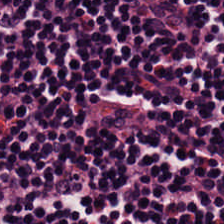The predominant tissue is lymphoid infiltrate.
